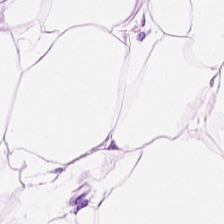Hematoxylin and eosin · FFPE tissue section — Tissue type = adipocytes.
